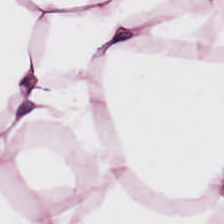FFPE · H&E stain. Q: Classify this patch.
A: This is adipose.
